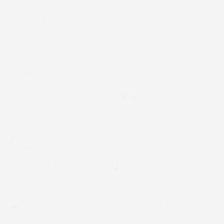Impression → empty background.
